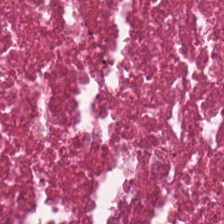H&E · formalin-fixed paraffin-embedded section.
Tissue type = cellular debris.
